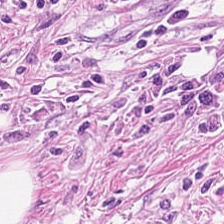Hematoxylin-and-eosin stained section. Finding — tumor-associated stroma.
